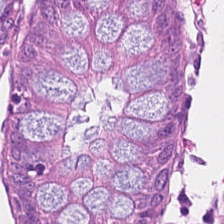Stain: hematoxylin-and-eosin stained section.
Tile size: 224×224 pixel tile.
Tissue type: normal colon mucosa.
